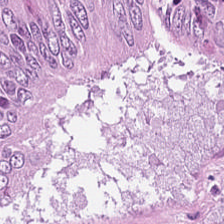Hematoxylin-and-eosin stained section — Q: What tissue is shown?
A: This is malignant epithelium.
